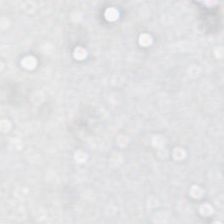Hematoxylin-and-eosin stained section — The classification is background.
